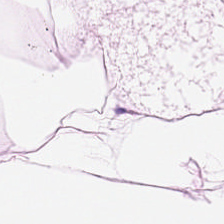H&E. {"tissue_type": "adipose"}
